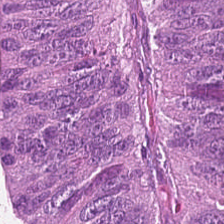Tissue — adenocarcinoma.
